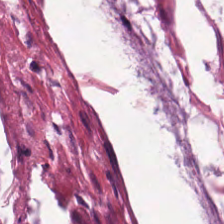H&E — Impression → mucin.
